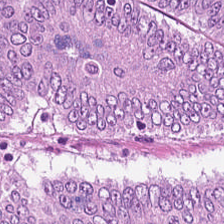0.5 µm per pixel. Hematoxylin and eosin. Classification: malignant epithelium.
